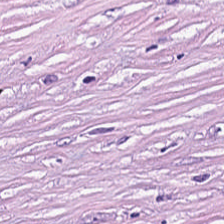Hematoxylin and eosin. The predominant tissue is cancer-associated stroma.
